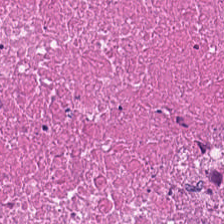Stain: H&E stain.
Tile size: 224×224 pixel tile.
Tissue class: necrotic debris.
